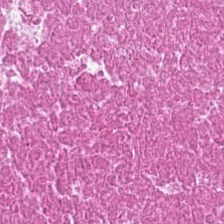H&E.
Predominant tissue — necrotic debris.
